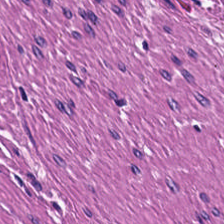Hematoxylin-and-eosin stained section. Tissue class: smooth-muscle tissue.
